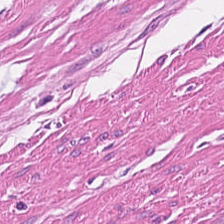H&E; 20× equivalent magnification. Finding — smooth muscle.
